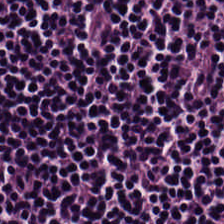H&E-stained tissue section — Tissue class — lymphocyte aggregate.
